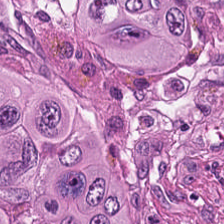H&E. Impression → adenocarcinoma.
